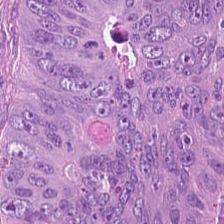Stain: hematoxylin and eosin.
Tissue type: colorectal adenocarcinoma.
